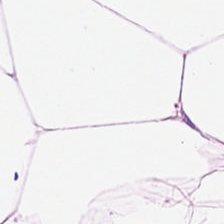H&E · whole-slide-image patch.
Q: What is the predominant tissue type?
A: This is fat tissue.
